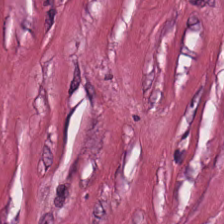This field is tumor-associated stroma.
